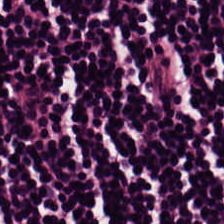H&E. Tissue = lymphoid infiltrate.
